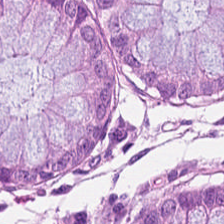Hematoxylin and eosin. This patch shows non-neoplastic colon mucosa.
